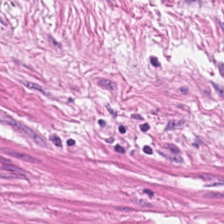224×224 pixel tile · H&E-stained tissue section. Finding — smooth muscle.
